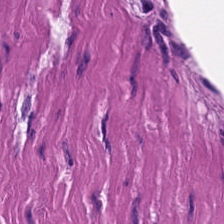H&E stain · brightfield microscopy.
The tissue is smooth-muscle tissue.
